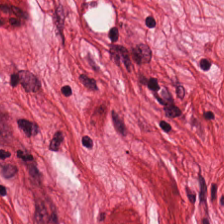0.5 µm per pixel; H&E stain. This patch shows smooth muscle.
